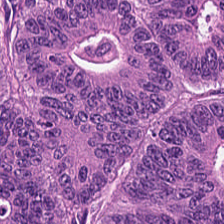224×224 px patch · H&E stain. The tissue type is adenocarcinoma.
